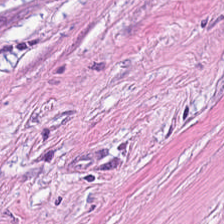Tissue class: cancer-associated stroma.
